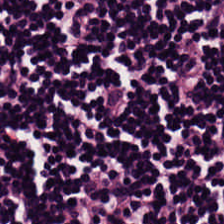Hematoxylin-and-eosin stained section · 224×224 pixel tile — Tissue class = lymphocytic infiltrate.
